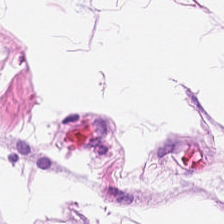Hematoxylin-and-eosin section: fat tissue.
